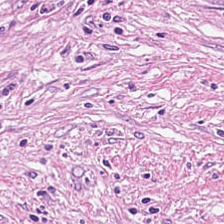Tissue type = tumor-associated stroma.
